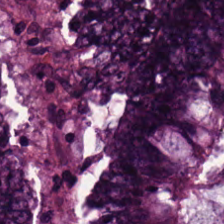Formalin-fixed paraffin-embedded section; H&E. Tissue = adenocarcinoma.
